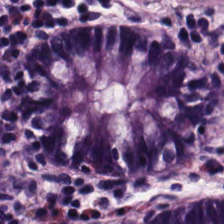224×224 px tile; hematoxylin and eosin — Tissue type — non-neoplastic colon mucosa.
